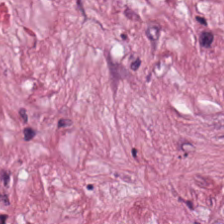H&E stain. Histology → tumor-associated stroma.
